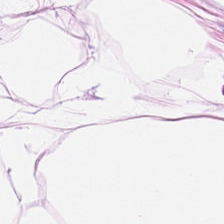Classification: adipose tissue.
